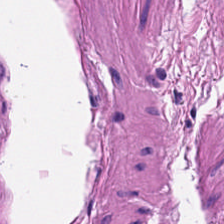Hematoxylin and eosin — Predominant tissue = smooth-muscle tissue.
